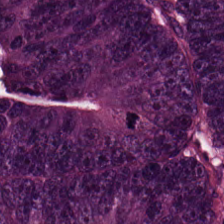Hematoxylin-and-eosin stained section.
The classification is colorectal adenocarcinoma epithelium.
